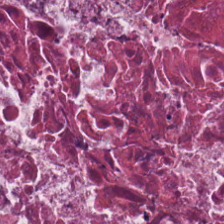H&E-stained tissue section — Q: What type of tissue is this?
A: Debris.
